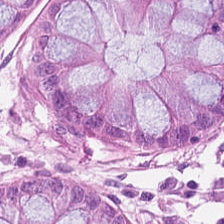H&E. 224×224 px tile. FFPE tissue section — Showing non-neoplastic colon mucosa.
